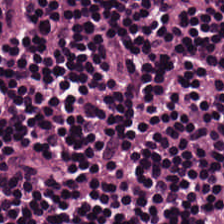H&E — Q: What is shown in this field?
A: It is lymphocytic infiltrate.
